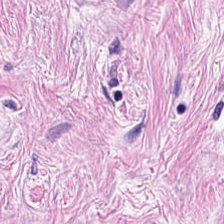Hematoxylin-and-eosin stained section — Showing tumor-associated stroma.
